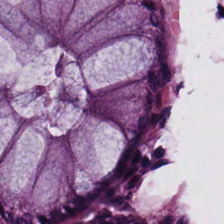Tissue type — benign colonic mucosa.
